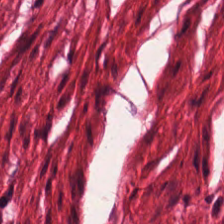H&E-stained section; the field shows muscularis.
